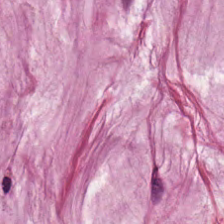Brightfield; 224×224 pixel tile; H&E-stained tissue section.
{"tissue_type": "mucin"}
